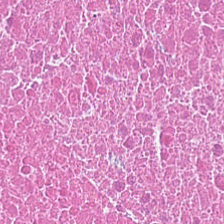Stain: hematoxylin-and-eosin stained section.
Tissue class: cellular debris.
